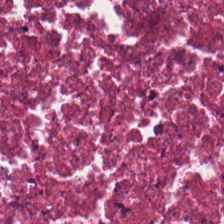Tissue type = debris.
